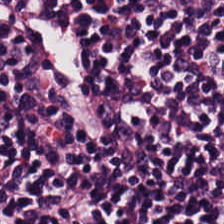Stain: H&E.
Tile size: 224×224 px tile.
Resolution: 0.5 µm/px.
Classification: lymphocyte aggregate.
